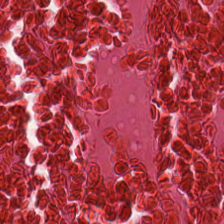Hematoxylin and eosin. The predominant tissue is necrotic debris.
